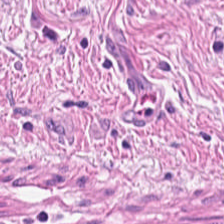H&E-stained tissue section · 20× equivalent magnification. Histology → smooth-muscle tissue.
